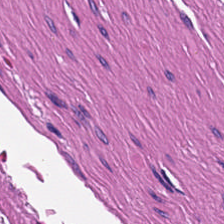0.5 microns per pixel. H&E stain.
Classification: smooth muscle.
